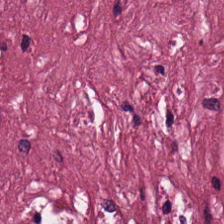WSI patch; H&E; formalin-fixed paraffin-embedded section.
Q: What does this patch show?
A: The field shows tumor stroma.
